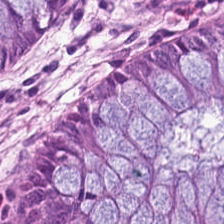Stain: hematoxylin and eosin.
Tile size: 224×224 pixel tile.
Tissue type: normal colon mucosa.
